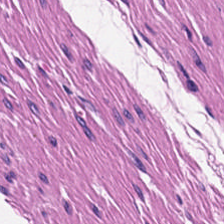Hematoxylin-and-eosin stained section. Brightfield microscopy. FFPE tissue section — Predominant tissue — muscularis.
